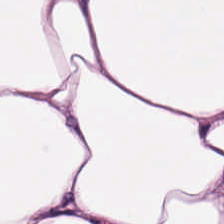224×224 px tile. Formalin-fixed paraffin-embedded section. Hematoxylin-and-eosin stained section — Predominantly adipocytes.
